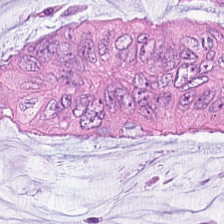Extracellular mucin.
